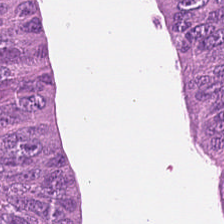Formalin-fixed paraffin-embedded section · hematoxylin-and-eosin stained section. Showing colorectal adenocarcinoma.
